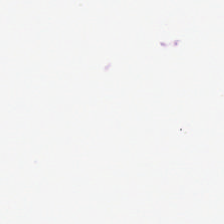H&E stain. Formalin-fixed paraffin-embedded section. {"content": "background (no tissue)"}
